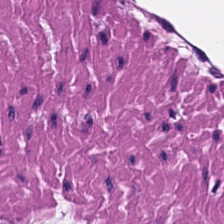Hematoxylin-and-eosin stained section — Impression — smooth muscle.
